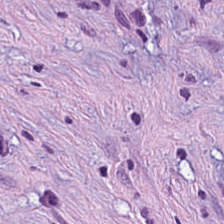H&E-stained tissue section.
Finding → tumor-associated stroma.
